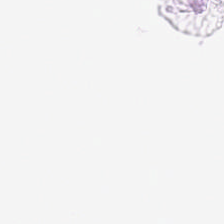Whole-slide-image patch; H&E stain. Q: What is shown in this field?
A: It is empty background.
